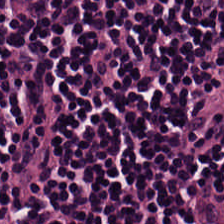0.5 µm/px · brightfield · H&E-stained tissue section. Lymphocyte aggregate.
